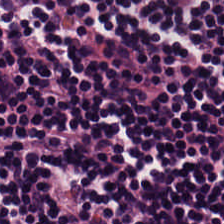Hematoxylin and eosin. This patch shows lymphoid infiltrate.
